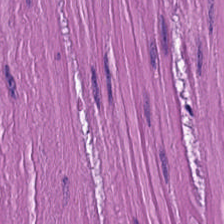H&E-stained tissue section.
This field is muscularis.
